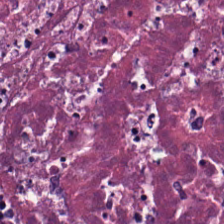Hematoxylin-and-eosin stained section. Brightfield.
Q: What tissue type is shown here?
A: Debris.
